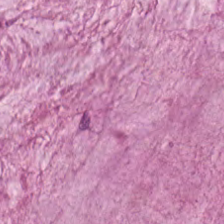H&E-stained tissue section.
Predominantly mucin.
